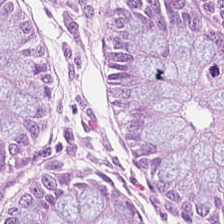H&E. 224×224 pixel tile. Tissue — non-neoplastic colon mucosa.
